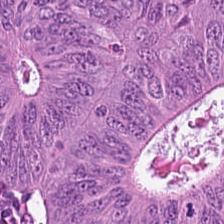H&E stain; FFPE tissue section; 0.5 µm/px. Finding — colorectal adenocarcinoma epithelium.
